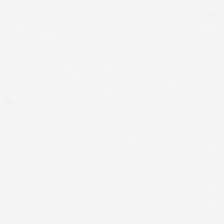224×224 pixel tile. H&E-stained tissue section — No tissue present; background only.
